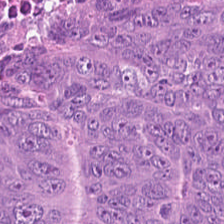H&E-stained tissue section showing tumor epithelium.
